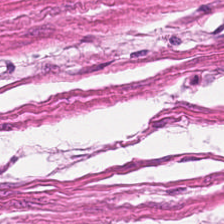Hematoxylin-and-eosin section: smooth muscle.
